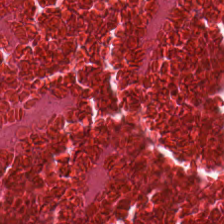Q: What does this patch show?
A: The field shows cellular debris.
